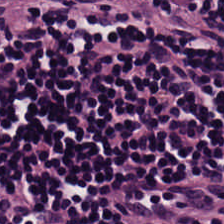Brightfield microscopy · H&E — This field is lymphoid infiltrate.
